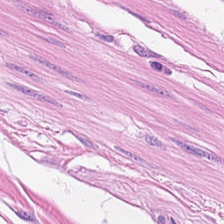H&E-stained tissue section — Finding → smooth-muscle tissue.
